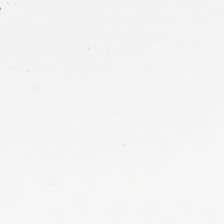Hematoxylin-and-eosin stained section. Classification = no tissue.
